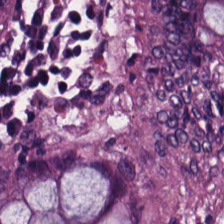H&E. Histology — benign colonic mucosa.
